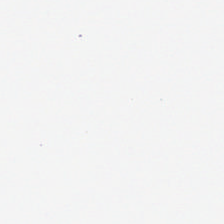This field is background (no tissue).
